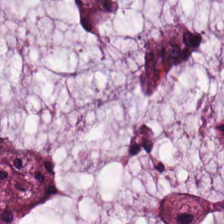H&E. Brightfield.
Tissue: mucin.
